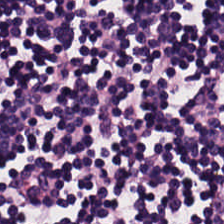H&E-stained tissue section.
Q: What tissue type is shown here?
A: It is lymphocyte aggregate.
